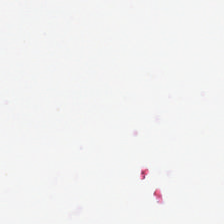0.5 microns per pixel; hematoxylin and eosin. Empty field — empty background.
